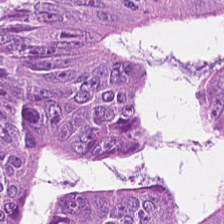H&E-stained tissue section · whole-slide-image patch · FFPE.
Tissue type = colorectal adenocarcinoma.
